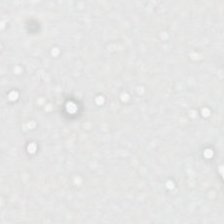Hematoxylin-and-eosin stained section. Field content — background (no tissue).
